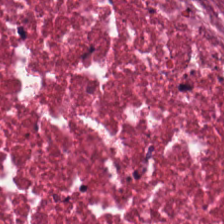Stain: H&E.
Preparation: formalin-fixed paraffin-embedded section.
Acquisition: brightfield microscopy.
Predominant tissue: debris.
